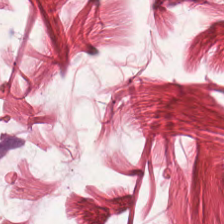Hematoxylin-and-eosin stained section; FFPE; whole-slide-image patch. Q: What does this patch show?
A: Smooth muscle.
